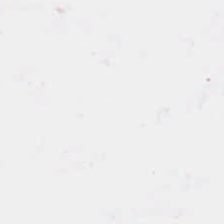Hematoxylin and eosin.
Empty field — background (no tissue).
